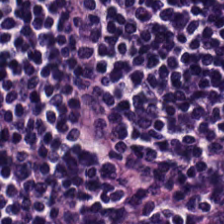H&E — Predominantly lymphocytic infiltrate.
